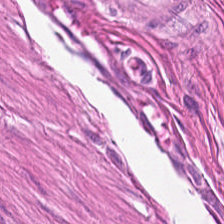{"tissue_type": "smooth-muscle tissue"}
